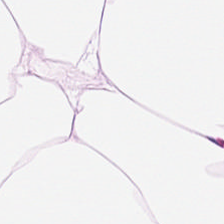Hematoxylin-and-eosin stained section — Impression → adipose tissue.
